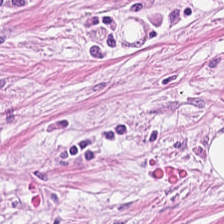Stain: hematoxylin-and-eosin stained section.
Tissue class: tumor stroma.
